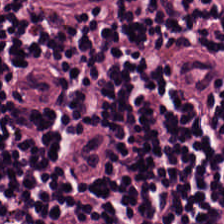Stain: hematoxylin-and-eosin stained section.
Tissue type: lymphocyte aggregate.
